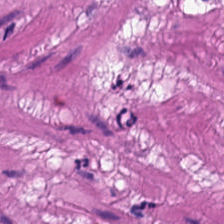H&E; 224×224 px tile.
Classification — smooth muscle.
